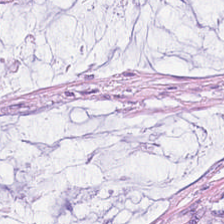Hematoxylin-and-eosin stained section.
Finding — mucus.
